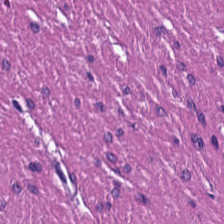H&E stain. 0.5 µm/px. This field is muscularis.
